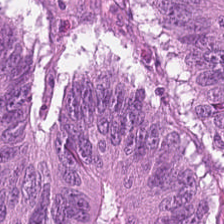Hematoxylin and eosin — Q: What tissue is shown?
A: It is malignant epithelium.
